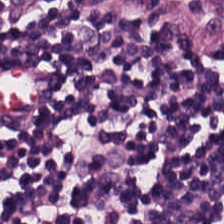Hematoxylin and eosin; brightfield microscopy.
The predominant tissue is lymphocyte aggregate.
